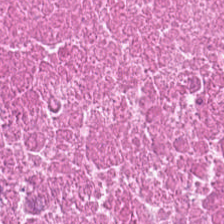FFPE. H&E-stained tissue section.
Finding → cellular debris.
